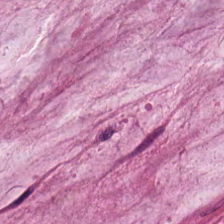Stain: H&E-stained tissue section.
Preparation: formalin-fixed paraffin-embedded section.
Tissue: mucin.
